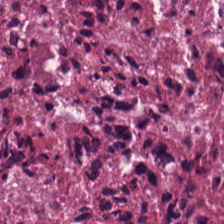H&E — Debris.
